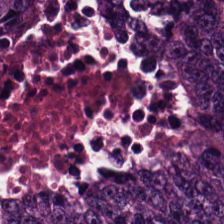Q: What tissue type is shown here?
A: It is colorectal adenocarcinoma epithelium.
